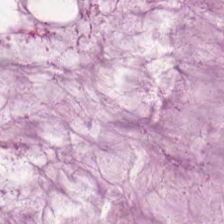H&E; whole-slide-image patch. This patch shows mucus.
